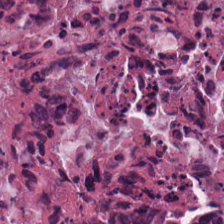Hematoxylin and eosin.
Cellular debris.
